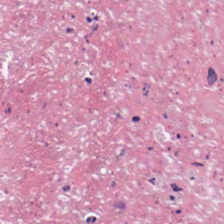Stain: hematoxylin-and-eosin stained section.
Preparation: FFPE tissue section.
Classification: debris.
